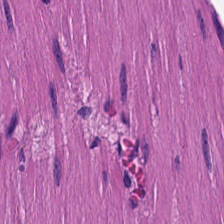H&E stain.
Tissue type — smooth-muscle tissue.
